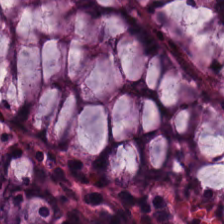FFPE tissue section. Hematoxylin and eosin. The classification is non-neoplastic colon mucosa.
